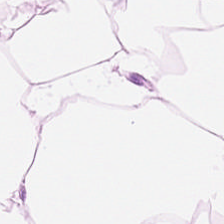H&E stain — This field is adipose tissue.
